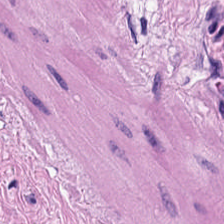Hematoxylin and eosin · WSI patch · FFPE. This patch shows smooth muscle.
